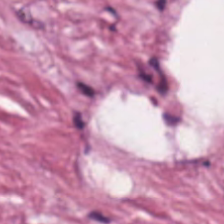H&E stain — Q: What tissue type is shown here?
A: It is tumor-associated stroma.
